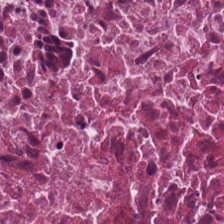FFPE · 224×224 px tile · hematoxylin-and-eosin stained section — Tissue type = necrotic debris.
